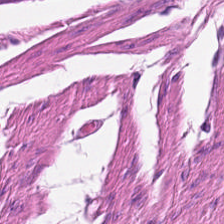Hematoxylin-and-eosin stained section. Tissue type = muscularis.
